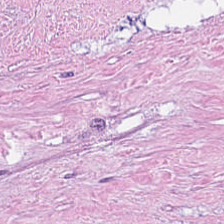H&E — cellular debris.
